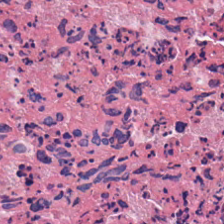224×224 px patch · H&E-stained tissue section.
Showing cellular debris.
